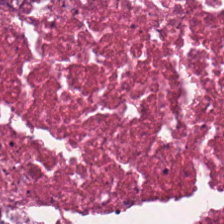224×224 px patch. Hematoxylin-and-eosin stained section. Brightfield. Q: What type of tissue is this?
A: The field shows cellular debris.
